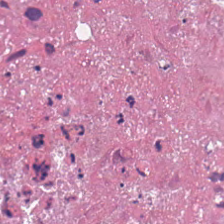Stain: H&E.
Tissue class: debris.
